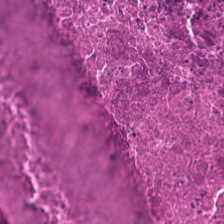Tissue = debris.
